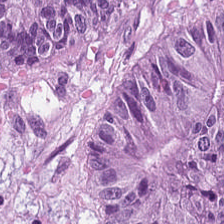Brightfield; hematoxylin-and-eosin stained section — This field is colorectal adenocarcinoma epithelium.
